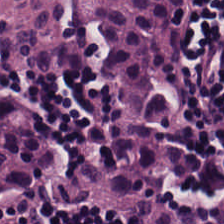20× equivalent magnification · hematoxylin and eosin · FFPE. The predominant tissue is lymphocytes.
